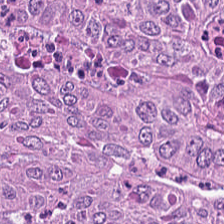H&E-stained tissue section. Colorectal adenocarcinoma.
